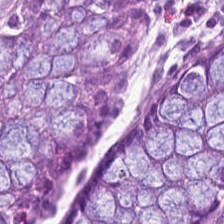Tissue type: normal colon mucosa.
